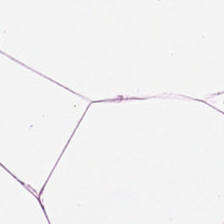Hematoxylin and eosin.
Tissue type: adipocytes.
